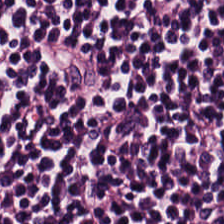Impression → lymphoid infiltrate.
